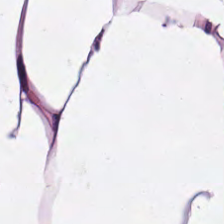Brightfield microscopy. H&E. 224×224 px patch.
This field is adipocytes.
